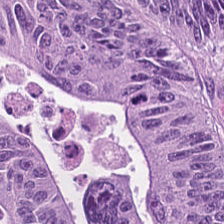20× equivalent magnification · H&E-stained tissue section. The predominant tissue is malignant epithelium.
